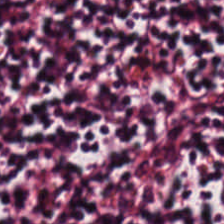Hematoxylin and eosin — The tissue here is lymphoid infiltrate.
